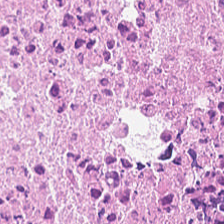Formalin-fixed paraffin-embedded section. Hematoxylin and eosin.
Histology — necrotic debris.
